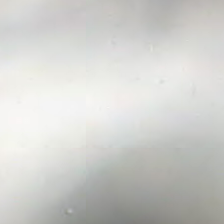H&E · formalin-fixed paraffin-embedded section · brightfield.
Classification — background.
